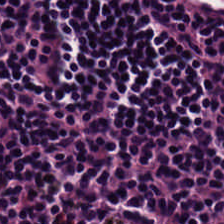Q: What type of tissue is this?
A: The field shows lymphocytes.
